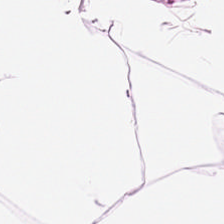Hematoxylin-and-eosin section: fat tissue.
